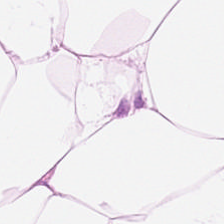Stain: H&E-stained tissue section.
Tissue type: adipose tissue.
